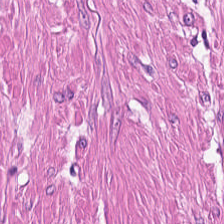Hematoxylin-and-eosin stained section; 224×224 px tile; 0.5 microns per pixel. Q: What does this patch show?
A: Smooth-muscle tissue.
